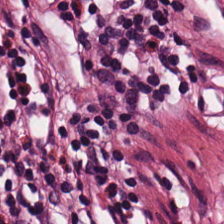FFPE tissue section. H&E.
Q: What is shown here?
A: This is benign colonic mucosa.
